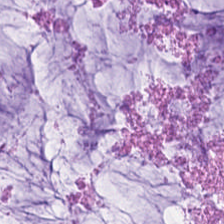Hematoxylin and eosin.
Predominantly mucin.
